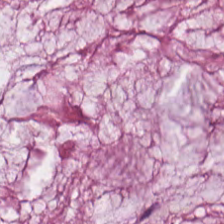WSI patch; H&E — Impression — mucus.
